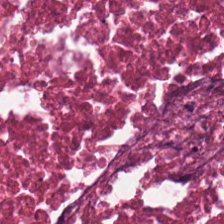The predominant tissue is necrotic debris.
